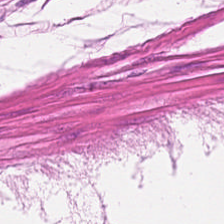Predominant tissue = muscularis.
